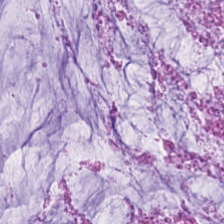H&E.
Predominantly mucin.
